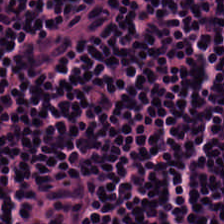Showing lymphocytic infiltrate.
